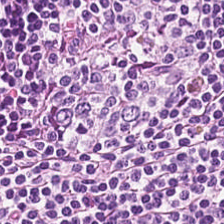H&E-stained tissue section.
The predominant tissue is lymphocyte aggregate.
